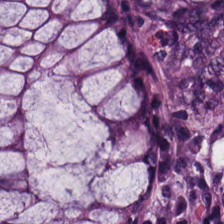H&E — Impression — normal colon mucosa.
